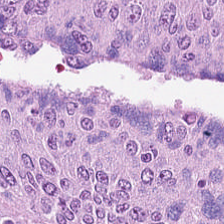H&E · 224×224 pixel tile.
Impression → tumor epithelium.
